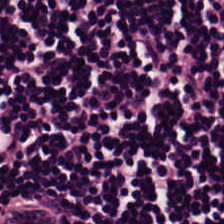Stain: hematoxylin and eosin.
Tissue: lymphocytic infiltrate.
